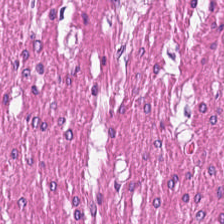H&E · 224×224 px tile. Tissue type = smooth muscle.
